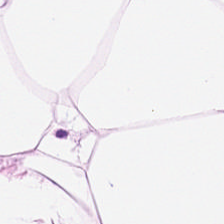The predominant tissue is adipocytes.
